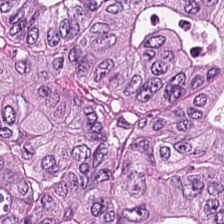H&E — Adenocarcinoma.
